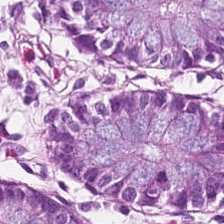Whole-slide-image patch · 224×224 px tile · H&E stain — Normal colonic mucosa.
